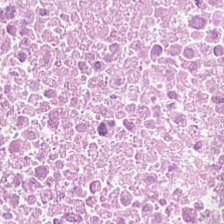Hematoxylin and eosin; 0.5 µm/px.
Impression → debris.
